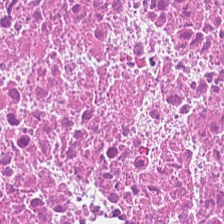Hematoxylin-and-eosin stained section.
Predominant tissue: debris.
